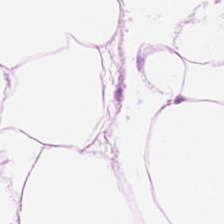FFPE; 224×224 px patch; hematoxylin and eosin. Impression → adipose tissue.
